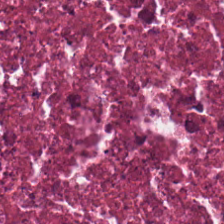Hematoxylin-and-eosin stained section. Showing necrotic debris.
